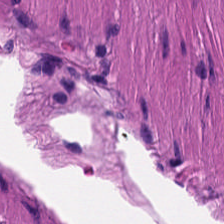Brightfield; H&E-stained tissue section — Tissue: smooth-muscle tissue.
